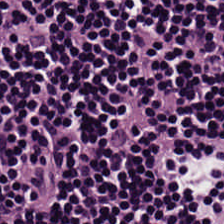Stain: H&E-stained tissue section.
Preparation: FFPE.
Predominant tissue: lymphocyte aggregate.
